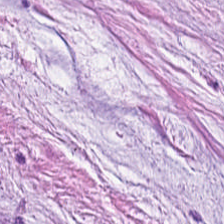H&E stain. The classification is mucin.
